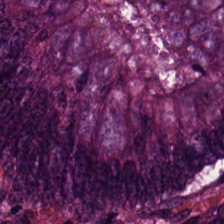Hematoxylin-and-eosin stained section. Colorectal adenocarcinoma epithelium.
